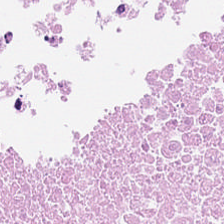H&E-stained tissue section.
Q: What does this patch show?
A: The field shows debris.
